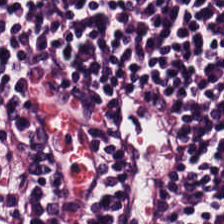Q: What is shown in this field?
A: It is lymphocytes.
